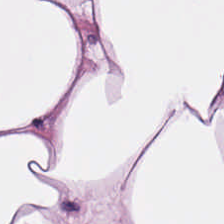Stain: H&E stain.
Tissue class: adipose.
